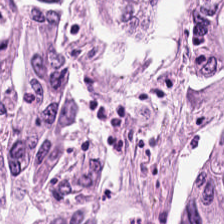Stain: hematoxylin-and-eosin stained section.
Acquisition: WSI patch.
Tissue: colorectal adenocarcinoma epithelium.
